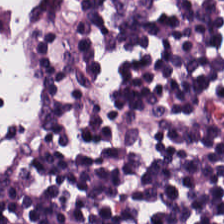Stain: H&E-stained tissue section.
Tissue type: lymphocytic infiltrate.
